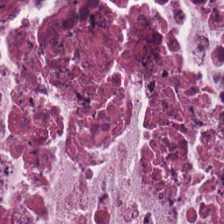Stain: H&E.
Tissue: necrotic debris.
